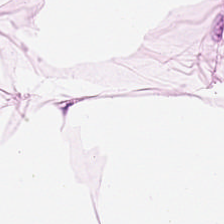Classification = adipocytes.
